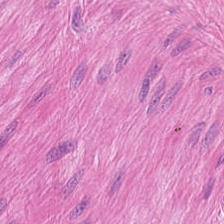H&E. 224×224 px tile. Showing smooth muscle.
